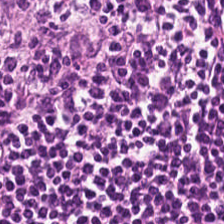Hematoxylin-and-eosin stained section. Q: What is shown here?
A: This is lymphocytic infiltrate.
